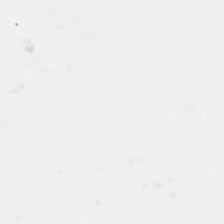H&E. Histology — no tissue.
